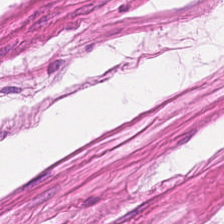Hematoxylin-and-eosin stained section; 20× equivalent magnification; whole-slide-image patch. The tissue here is smooth muscle.
